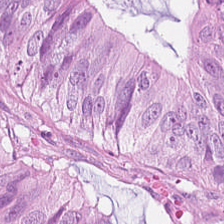Histology — malignant epithelium.
